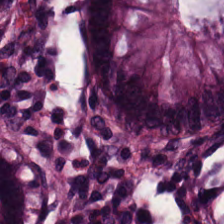Hematoxylin-and-eosin stained section. The predominant tissue is normal colon mucosa.
